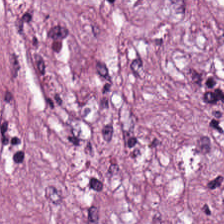Hematoxylin-and-eosin stained section.
Q: Classify this patch.
A: The field shows cancer-associated stroma.
